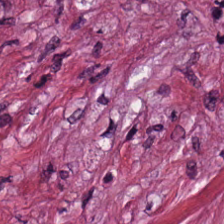Stain: H&E.
Preparation: formalin-fixed paraffin-embedded section.
Tissue: tumor stroma.
